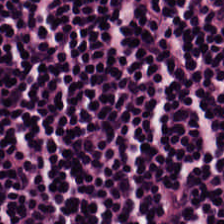H&E-stained tissue section. FFPE tissue section. This field is lymphocyte aggregate.
